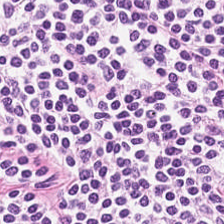H&E-stained tissue section · 224×224 px patch.
Finding — lymphocyte aggregate.
